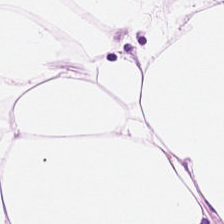Stain: H&E-stained tissue section.
Acquisition: brightfield microscopy.
Predominant tissue: adipose.
